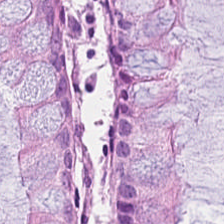The predominant tissue is normal colon mucosa.
